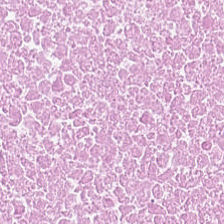H&E stain; 20× equivalent magnification. Tissue class — debris.
